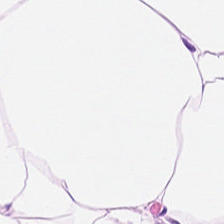H&E · formalin-fixed paraffin-embedded section.
Showing fat tissue.
